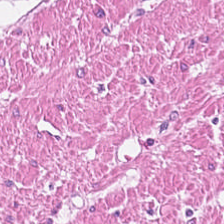Brightfield microscopy · H&E-stained tissue section.
This field is smooth-muscle tissue.
